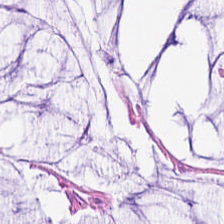Classification — mucin.
